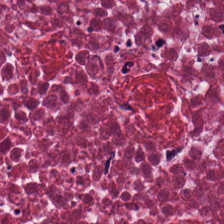Hematoxylin-and-eosin stained section — Q: Identify the tissue.
A: This is cellular debris.
